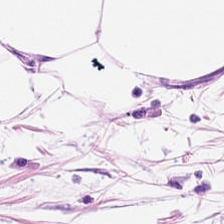FFPE; hematoxylin-and-eosin stained section — Fat tissue.
